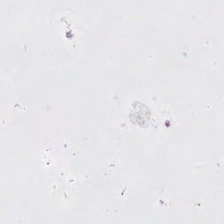Hematoxylin-and-eosin stained section. Empty background.
